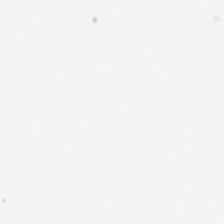Stain: hematoxylin and eosin.
Content: background.
